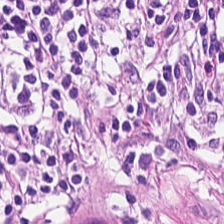Hematoxylin and eosin.
Predominant tissue — lymphoid infiltrate.
